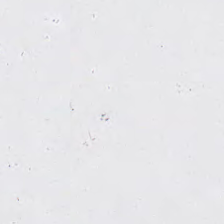H&E.
{"content": "background (no tissue)"}
